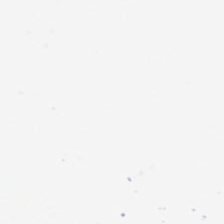H&E stain — Classification = empty background.
